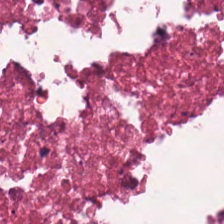H&E-stained tissue section — Finding — debris.
